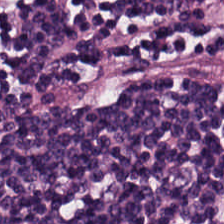Hematoxylin-and-eosin stained section; whole-slide-image patch; FFPE. Lymphocyte aggregate.
